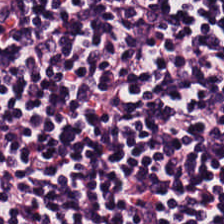Q: Classify this patch.
A: It is lymphocyte aggregate.
